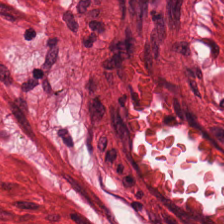H&E.
Q: Identify the tissue.
A: The field shows muscularis.
